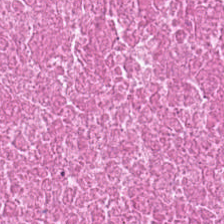H&E stain. FFPE tissue section.
Showing debris.
